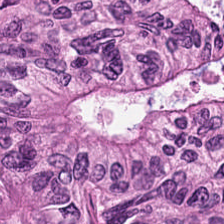H&E stain.
Q: What tissue is shown?
A: Adenocarcinoma.
